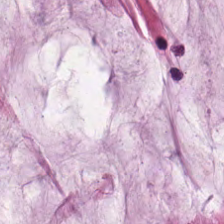H&E stain; WSI patch; 224×224 px patch. Impression → mucin.
